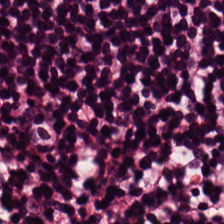The tissue class is lymphocytic infiltrate.
